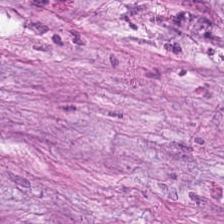H&E stain · 0.5 µm/px.
Q: What type of tissue is this?
A: Tumor stroma.
